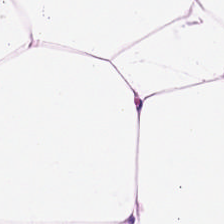Tissue class — adipocytes.
